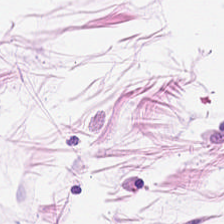Hematoxylin-and-eosin stained section.
{"tissue_type": "adipocytes"}
